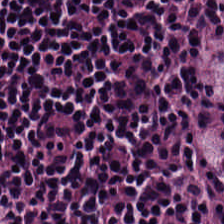H&E. Tissue class: lymphocytic infiltrate.
